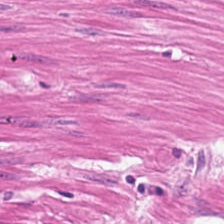0.5 microns per pixel. H&E. 224×224 px tile.
Tissue: smooth muscle.
